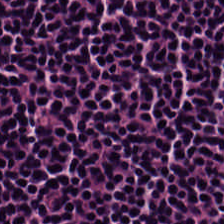H&E-stained tissue section — Predominantly lymphocytic infiltrate.
